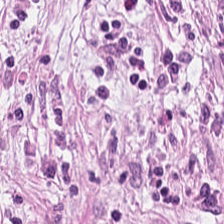Hematoxylin-and-eosin stained section — Q: Identify the tissue.
A: Cancer-associated stroma.
